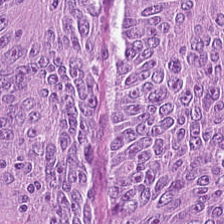Brightfield microscopy · H&E. The tissue class is adenocarcinoma.
